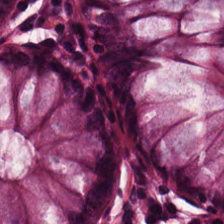This patch shows normal colon mucosa.
